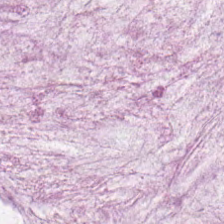Whole-slide-image patch; FFPE; H&E-stained tissue section — This field is extracellular mucin.
